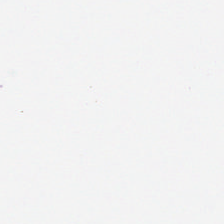{"content": "background (no tissue)"}
